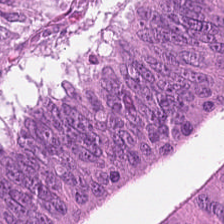Formalin-fixed paraffin-embedded section · H&E-stained tissue section.
Histology → adenocarcinoma.
